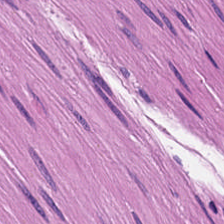Stain: H&E.
Tissue class: muscularis.
